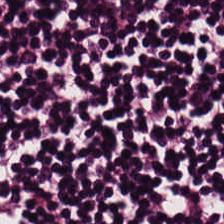H&E stain. Lymphocytic infiltrate.
